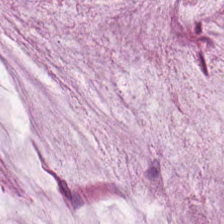H&E-stained tissue section — Showing mucin.
